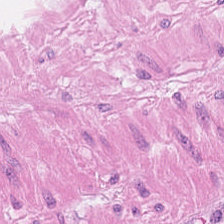Formalin-fixed paraffin-embedded section · hematoxylin and eosin. Q: Classify this patch.
A: This is muscularis.
